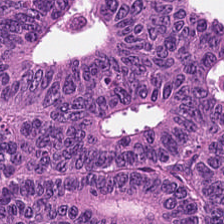H&E-stained tissue section — Q: Identify the tissue.
A: This is colorectal adenocarcinoma epithelium.
